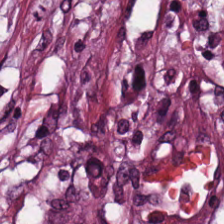H&E-stained tissue section.
Q: What does this patch show?
A: Desmoplastic stroma.
